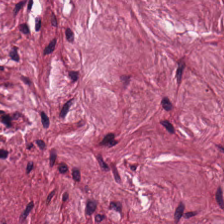Tissue type = tumor stroma.
